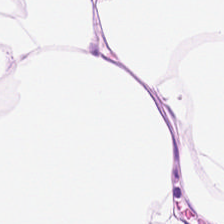Tissue class — adipose tissue.
